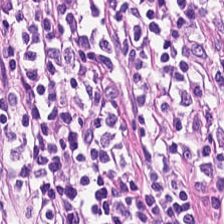Hematoxylin and eosin — Q: What is shown here?
A: Lymphocytic infiltrate.
